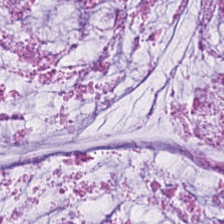Hematoxylin and eosin — Tissue — mucus.
